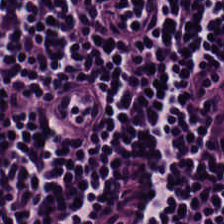FFPE tissue section. H&E. 20× equivalent magnification.
Histology → lymphocytic infiltrate.
